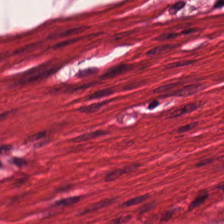Hematoxylin and eosin. Tissue — smooth-muscle tissue.
